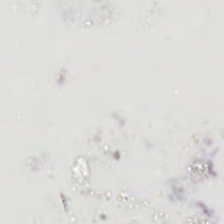Stain: H&E.
Preparation: FFPE.
Classification: background (no tissue).
